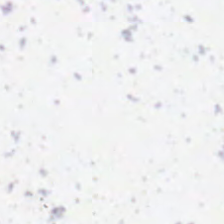Stain: hematoxylin-and-eosin stained section.
Preparation: FFPE.
Classification: no tissue.
